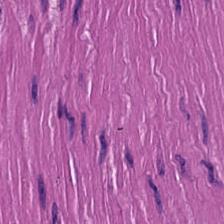WSI patch · H&E-stained tissue section · 224×224 pixel tile.
Smooth muscle.
